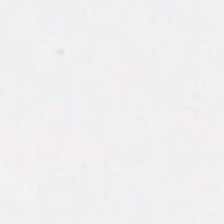H&E stain. Empty field — background.
